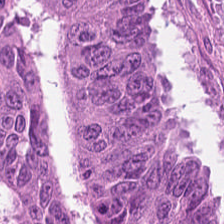H&E stain; whole-slide-image patch; 224×224 px patch. Showing tumor epithelium.
